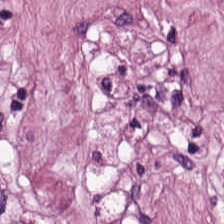FFPE tissue section. Hematoxylin-and-eosin stained section — The predominant tissue is cancer-associated stroma.
